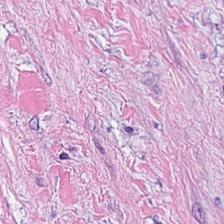Tissue type: cancer-associated stroma.
